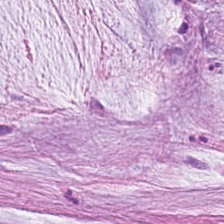Tissue — extracellular mucin.
